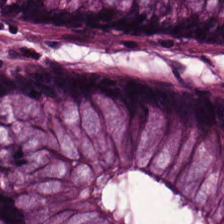Hematoxylin-and-eosin stained section · 224×224 px tile. This patch shows benign colonic mucosa.
